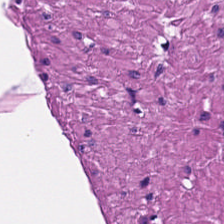H&E. Smooth muscle.
